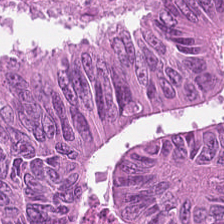Formalin-fixed paraffin-embedded section; H&E stain — This field is adenocarcinoma.
